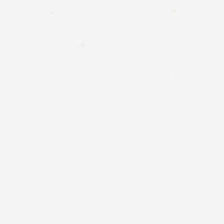0.5 µm/px · whole-slide-image patch · H&E-stained tissue section.
Classification: background.
